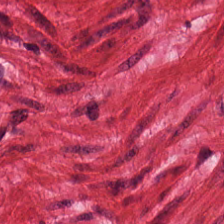0.5 µm per pixel. Hematoxylin-and-eosin stained section — The classification is smooth muscle.
